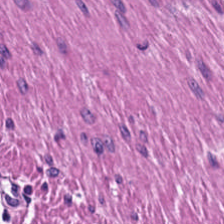H&E stain.
Predominantly smooth muscle.
